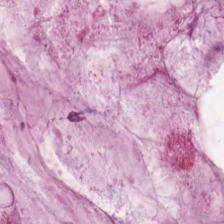The tissue here is extracellular mucin.
